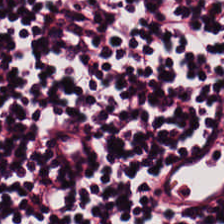0.5 µm per pixel; hematoxylin-and-eosin stained section — This field is lymphoid infiltrate.
